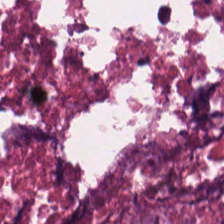Predominantly cellular debris.
